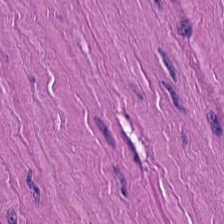FFPE; H&E.
Predominant tissue = smooth muscle.
